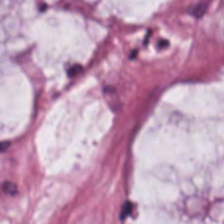0.5 µm/px · H&E-stained tissue section.
Q: What tissue is shown?
A: The field shows mucin.
